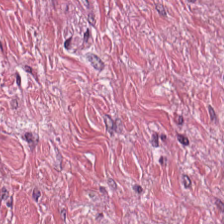0.5 µm per pixel · 224×224 px tile · hematoxylin and eosin — {"tissue_type": "tumor-associated stroma"}
